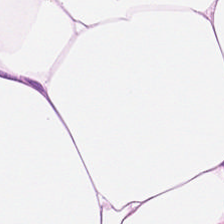Hematoxylin-and-eosin stained section. Histology — adipose tissue.
